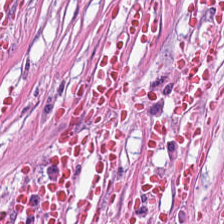0.5 µm per pixel. Hematoxylin-and-eosin stained section — Classification = tumor-associated stroma.
